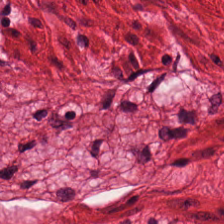0.5 µm/px · hematoxylin-and-eosin stained section.
Tissue class: smooth-muscle tissue.
